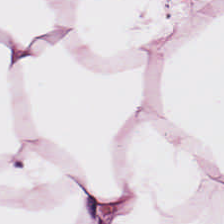Classification = adipocytes.
